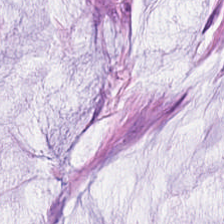H&E stain — The classification is extracellular mucin.
